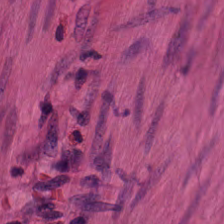Hematoxylin-and-eosin stained section.
Impression → smooth-muscle tissue.
